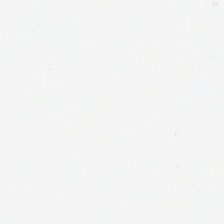H&E-stained tissue section; 0.5 µm/px; formalin-fixed paraffin-embedded section.
{"content": "empty background"}
